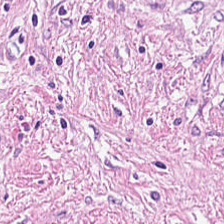WSI patch; hematoxylin and eosin. Q: What does this patch show?
A: It is tumor-associated stroma.
